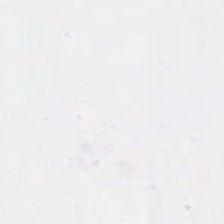20× equivalent magnification · hematoxylin and eosin · formalin-fixed paraffin-embedded section. Background — no tissue in this field.
